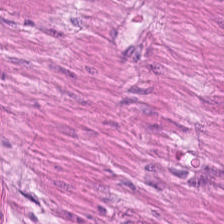Hematoxylin-and-eosin stained section.
Classification — muscularis.
